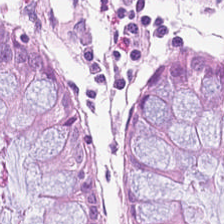FFPE tissue section. Hematoxylin-and-eosin stained section — Q: What is shown in this field?
A: The field shows benign colonic mucosa.
